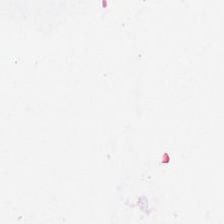Empty field — background (no tissue).
